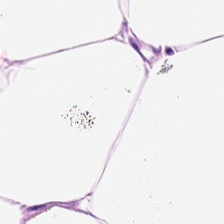Stain: hematoxylin and eosin.
Tile size: 224×224 px patch.
Classification: adipocytes.
